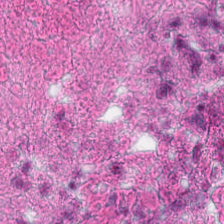FFPE. H&E. The tissue class is debris.
